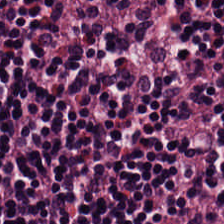Hematoxylin-and-eosin stained section. Classification — lymphocyte aggregate.
